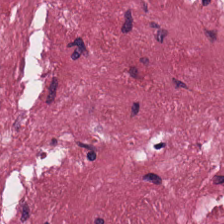Stain: hematoxylin and eosin.
Preparation: formalin-fixed paraffin-embedded section.
Tissue type: tumor-associated stroma.
